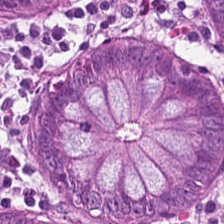H&E stain — Tissue type: non-neoplastic colon mucosa.
